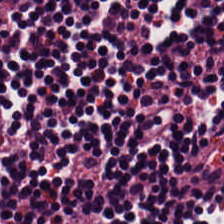Q: What is the predominant tissue type?
A: It is lymphocytic infiltrate.
